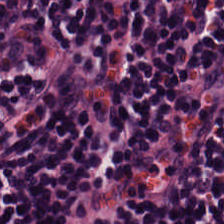Hematoxylin and eosin.
The tissue class is lymphoid infiltrate.
